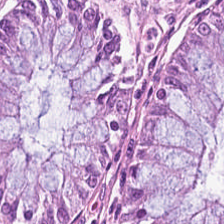Hematoxylin-and-eosin stained section — Tissue = non-neoplastic colon mucosa.
